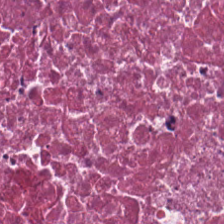20× equivalent magnification; hematoxylin-and-eosin stained section — Debris.
